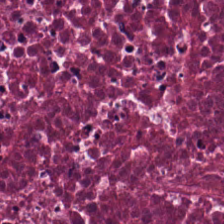H&E stain.
The tissue here is cellular debris.
